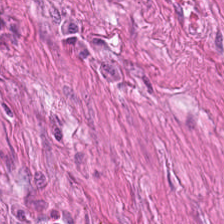H&E-stained tissue section — The tissue is smooth-muscle tissue.
